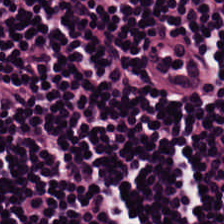Stain: H&E stain.
Acquisition: WSI patch.
Tissue type: lymphocyte aggregate.
